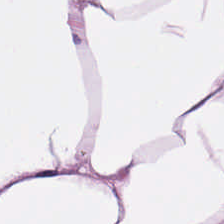H&E stain — This patch shows fat tissue.
